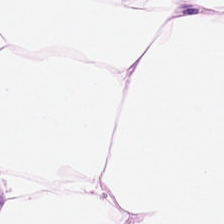H&E-stained tissue section · formalin-fixed paraffin-embedded section · WSI patch.
Classification = fat tissue.
